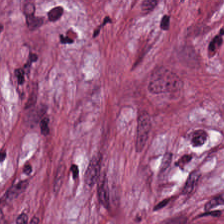H&E-stained tissue section · FFPE tissue section. Showing cancer-associated stroma.
